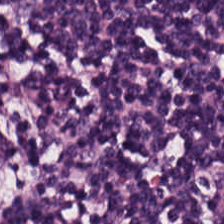Impression → lymphocyte aggregate.
